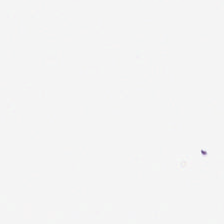H&E; brightfield.
Empty field — background (no tissue).
